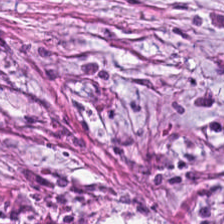Hematoxylin-and-eosin stained section — Q: What type of tissue is this?
A: Tumor stroma.
